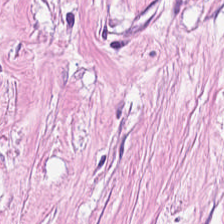Brightfield microscopy; H&E; 224×224 px tile — Predominant tissue = tumor-associated stroma.
